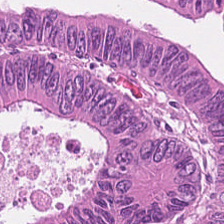Stain: H&E.
Preparation: formalin-fixed paraffin-embedded section.
Tissue class: colorectal adenocarcinoma.
